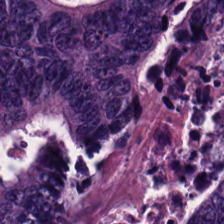224×224 px tile. Hematoxylin and eosin.
Impression → adenocarcinoma.
